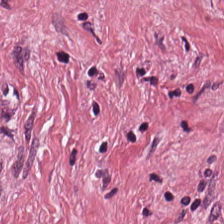This field is desmoplastic stroma.
